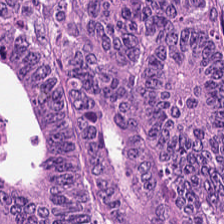WSI patch. H&E.
Q: What type of tissue is this?
A: It is tumor epithelium.
